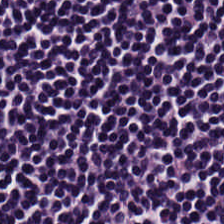FFPE. 224×224 pixel tile. H&E stain — Tissue class = lymphocytes.
